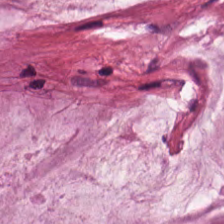The tissue here is extracellular mucin.
